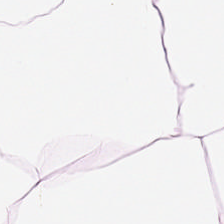Stain: hematoxylin and eosin.
Preparation: FFPE tissue section.
Classification: adipose.
